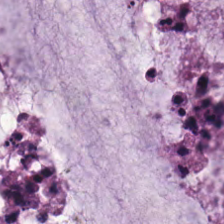Impression → mucin.
